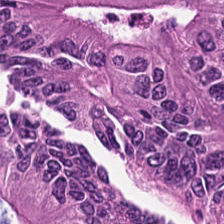This field is colorectal adenocarcinoma epithelium.
